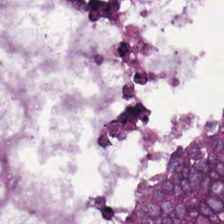Whole-slide-image patch · hematoxylin-and-eosin stained section · 0.5 µm/px.
Tissue type — adenocarcinoma.
